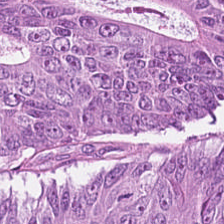Hematoxylin-and-eosin stained section. Formalin-fixed paraffin-embedded section — The classification is adenocarcinoma.
